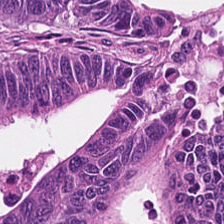Hematoxylin and eosin.
Tissue — colorectal adenocarcinoma epithelium.
